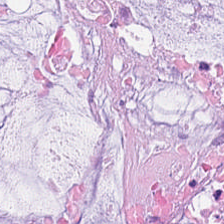Hematoxylin and eosin. This field is extracellular mucin.
